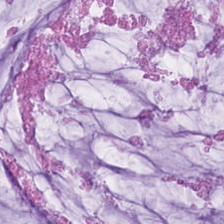Hematoxylin and eosin. Brightfield microscopy. Classification = mucin.
